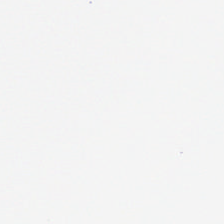Hematoxylin-and-eosin stained section.
No tissue present; background only.
